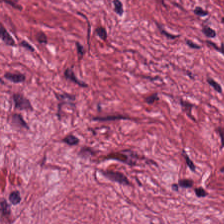H&E.
Showing tumor-associated stroma.
